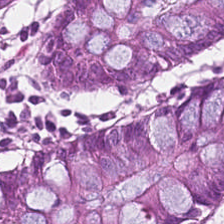Tissue class = normal colonic mucosa.
